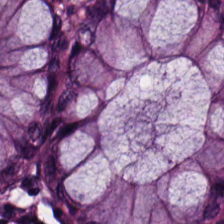Hematoxylin-and-eosin stained section — This field is normal colon mucosa.
